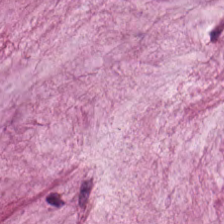Hematoxylin-and-eosin stained section — Tissue type — mucus.
